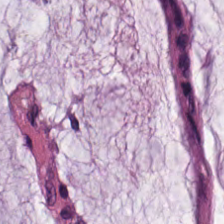0.5 µm per pixel; 224×224 px tile; H&E. The tissue class is mucin.
